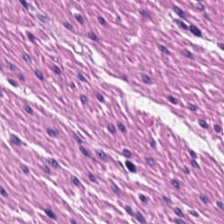H&E-stained tissue section · 0.5 µm per pixel.
Histology — muscularis.
